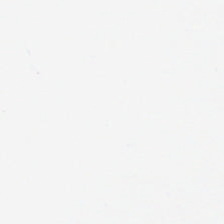Stain: H&E.
Preparation: formalin-fixed paraffin-embedded section.
Field content: background (no tissue).
